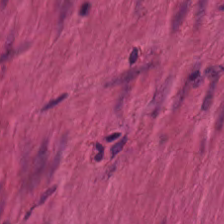H&E-stained tissue section.
{"tissue_type": "smooth muscle"}
